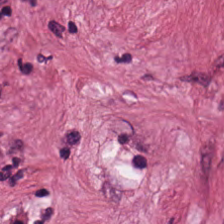Stain: hematoxylin-and-eosin stained section.
Acquisition: WSI patch.
Tissue type: cancer-associated stroma.
